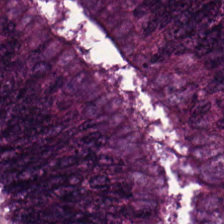H&E-stained tissue section.
Finding — colorectal adenocarcinoma epithelium.
